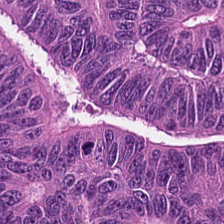0.5 µm/px. 224×224 px tile. Hematoxylin-and-eosin stained section. {"tissue_type": "tumor epithelium"}
